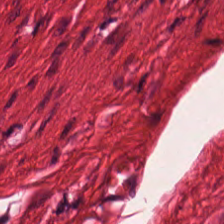H&E stain; 224×224 pixel tile. Impression → smooth-muscle tissue.
